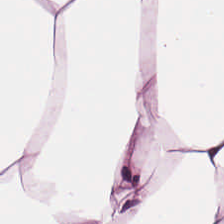Hematoxylin-and-eosin stained section — Showing fat tissue.
